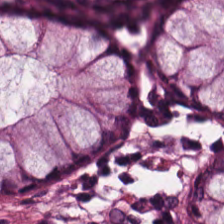H&E — The predominant tissue is normal colon mucosa.
